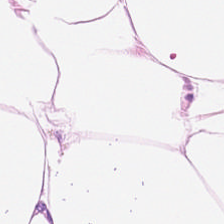Hematoxylin-and-eosin stained section · FFPE.
Histology → adipocytes.
